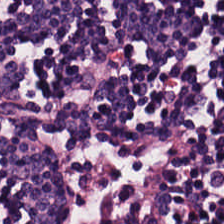Hematoxylin-and-eosin stained section — Histology → lymphocytic infiltrate.
